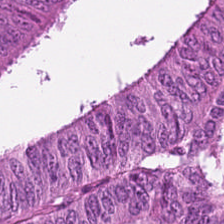Stain: H&E stain.
Predominant tissue: tumor epithelium.
